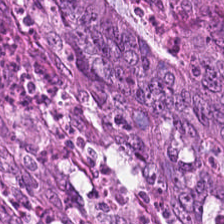H&E stain. Showing colorectal adenocarcinoma.
